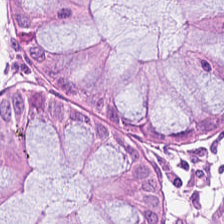H&E stain. Brightfield microscopy. FFPE. Histology → non-neoplastic colon mucosa.
